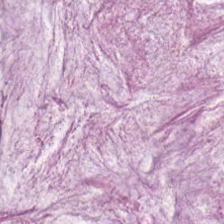Hematoxylin and eosin — Q: What tissue type is shown here?
A: This is extracellular mucin.
